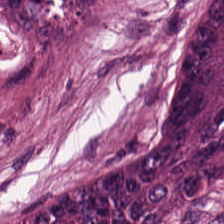Hematoxylin-and-eosin stained section. Tissue class: malignant epithelium.
